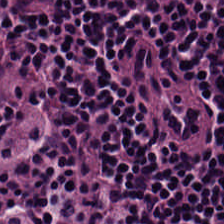H&E; FFPE tissue section.
This field is lymphocytes.
